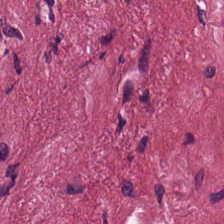Stain: H&E stain.
Tissue: cancer-associated stroma.
